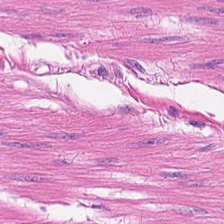Brightfield microscopy; FFPE tissue section; hematoxylin-and-eosin stained section — Predominantly muscularis.
